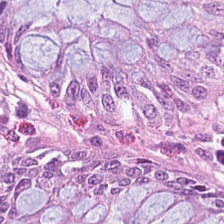Stain: H&E-stained tissue section.
Acquisition: WSI patch.
Preparation: FFPE.
Tissue: non-neoplastic colon mucosa.
